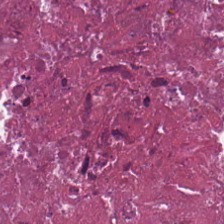H&E stain; FFPE.
Q: What is shown in this field?
A: It is cellular debris.
